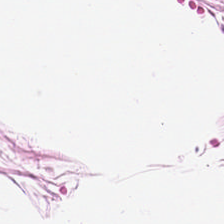H&E.
Q: What is the predominant tissue type?
A: This is fat tissue.
